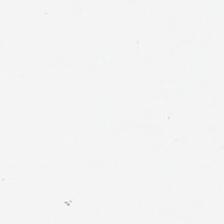Field content — empty background.
